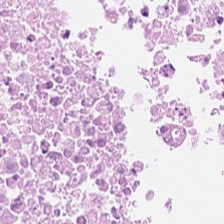224×224 pixel tile · H&E · whole-slide-image patch.
Cellular debris.
